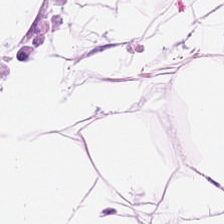The classification is adipose.
